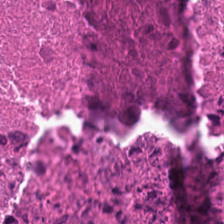The tissue type is debris.
